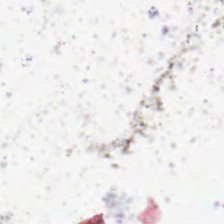Content — background.
